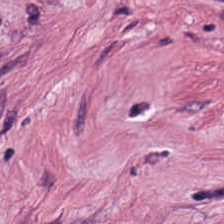{"tissue_type": "tumor-associated stroma"}
